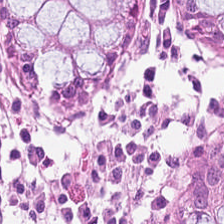Formalin-fixed paraffin-embedded section · hematoxylin and eosin · 224×224 px tile — Q: What type of tissue is this?
A: It is normal colonic mucosa.
